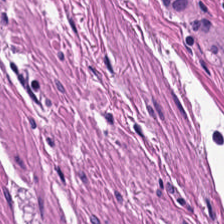H&E-stained tissue section.
The tissue type is smooth-muscle tissue.
